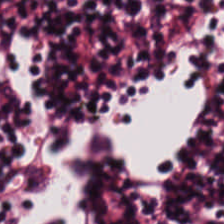H&E. Q: What does this patch show?
A: It is lymphocytic infiltrate.
